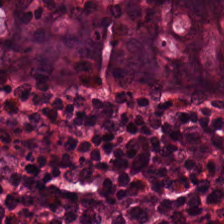Hematoxylin and eosin.
Finding — benign colonic mucosa.
